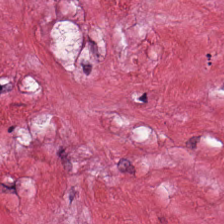H&E stain — The tissue here is desmoplastic stroma.
